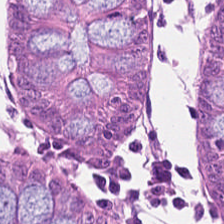Stain: hematoxylin and eosin.
Classification: benign colonic mucosa.
